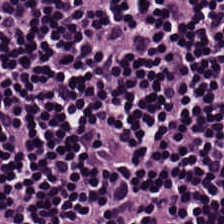H&E · FFPE tissue section · 0.5 µm/px.
Predominantly lymphocytic infiltrate.
